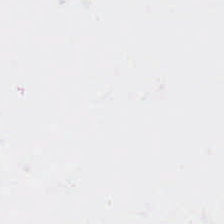Classification: empty background.
